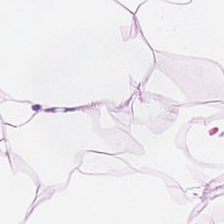Fat tissue.
